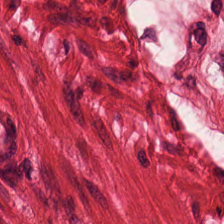H&E stain.
Q: What is the predominant tissue type?
A: The field shows smooth muscle.
